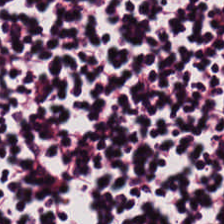H&E-stained section; the field shows lymphocytes.
